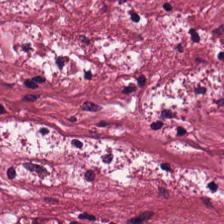224×224 px patch. H&E — Impression → desmoplastic stroma.
